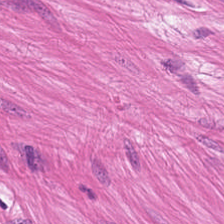H&E-stained tissue section. Predominant tissue = muscularis.
